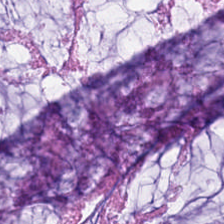224×224 px tile. Formalin-fixed paraffin-embedded section. Hematoxylin and eosin. Mucin.
